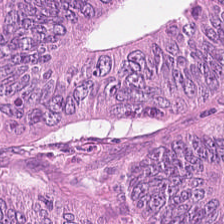Finding → colorectal adenocarcinoma epithelium.
